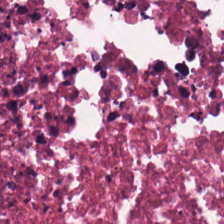Stain: H&E stain.
Resolution: 20× equivalent magnification.
Tissue type: necrotic debris.
